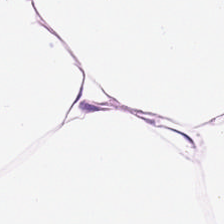Hematoxylin-and-eosin stained section; 0.5 microns per pixel — The tissue is adipocytes.
